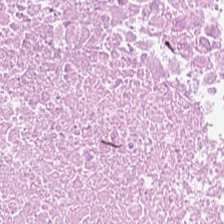Q: What is the predominant tissue type?
A: This is necrotic debris.
